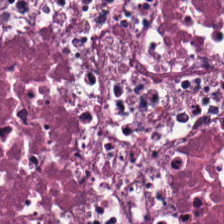H&E stain.
Showing cellular debris.
